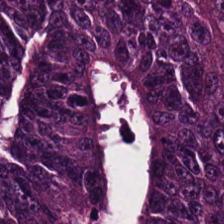Predominantly malignant epithelium.
